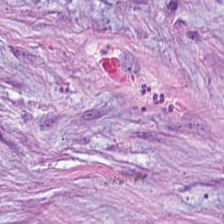The tissue is desmoplastic stroma.
